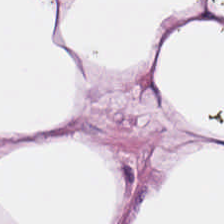Showing adipose tissue.
